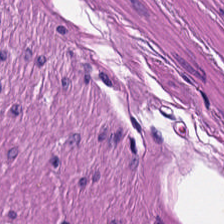H&E stain — Histology — smooth muscle.
